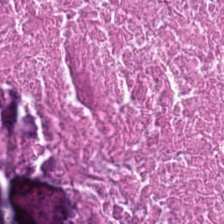224×224 px tile. H&E-stained tissue section — Q: What is the predominant tissue type?
A: This is necrotic debris.
